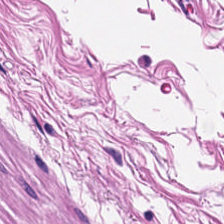Formalin-fixed paraffin-embedded section; H&E stain — Q: What does this patch show?
A: This is muscularis.
